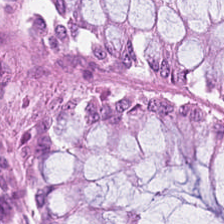FFPE · 224×224 px patch · H&E-stained tissue section — Normal colon mucosa.
